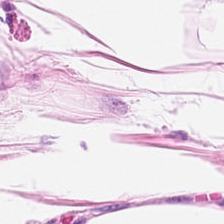H&E stain. Q: What does this patch show?
A: It is adipocytes.
